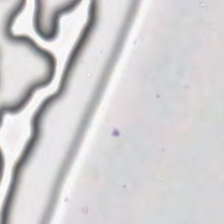Stain: hematoxylin-and-eosin stained section.
Field content: empty background.
